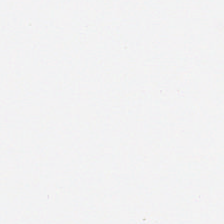Stain: H&E-stained tissue section.
Content: background.
